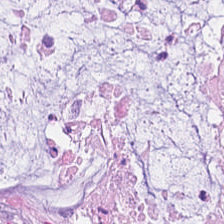Hematoxylin and eosin. Formalin-fixed paraffin-embedded section. 0.5 microns per pixel.
Classification: mucin.
